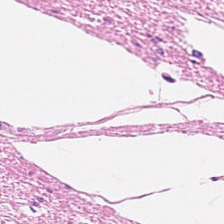Hematoxylin-and-eosin stained section. The tissue here is muscularis.
